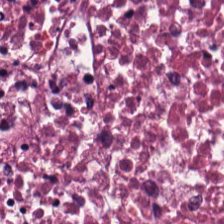Hematoxylin and eosin. Q: Classify this patch.
A: It is cellular debris.
